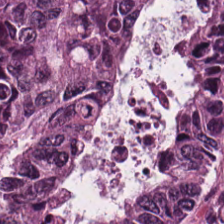FFPE · H&E. Tissue class = malignant epithelium.
